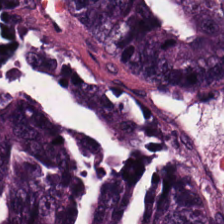Hematoxylin and eosin. WSI patch.
The tissue here is malignant epithelium.
